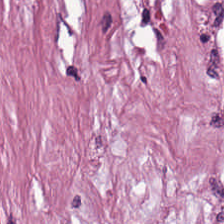H&E stain. This patch shows desmoplastic stroma.
